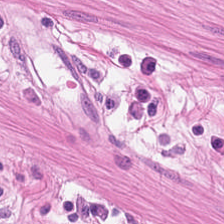Formalin-fixed paraffin-embedded section · H&E-stained tissue section.
Predominantly muscularis.
